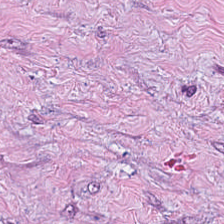Stain: H&E-stained tissue section.
Classification: cancer-associated stroma.
